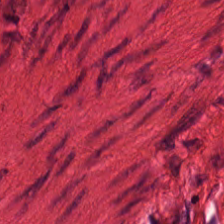FFPE. H&E stain — Showing smooth muscle.
